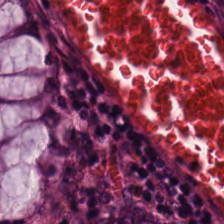Formalin-fixed paraffin-embedded section; hematoxylin and eosin.
Predominantly non-neoplastic colon mucosa.
